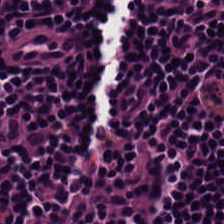The tissue here is lymphocytes.
